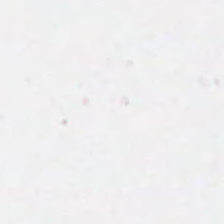H&E-stained tissue section. Content: background.
